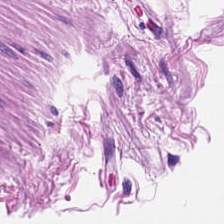Stain: H&E-stained tissue section.
Tissue: smooth-muscle tissue.
